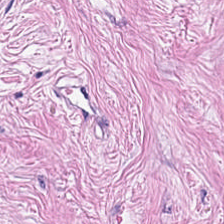H&E. 224×224 px tile — The tissue class is tumor-associated stroma.
